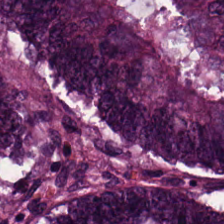Stain: hematoxylin-and-eosin stained section.
Tissue type: colorectal adenocarcinoma epithelium.
